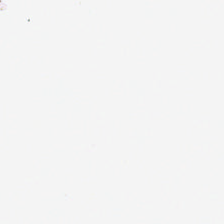Stain: hematoxylin-and-eosin stained section.
Content: no tissue.
